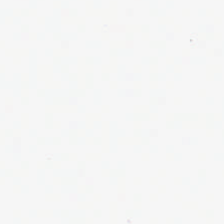Stain: hematoxylin and eosin.
Field content: empty background.
